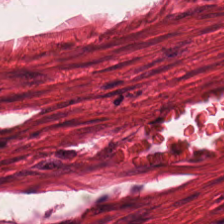224×224 pixel tile; brightfield; H&E stain.
Predominantly smooth-muscle tissue.
